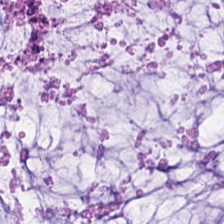224×224 px tile. 0.5 microns per pixel. H&E.
The predominant tissue is mucin.
